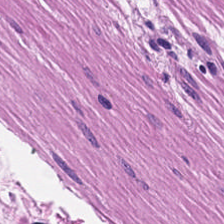H&E-stained tissue section — The classification is muscularis.
